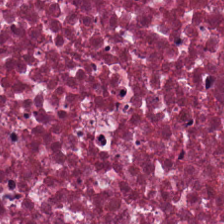H&E-stained tissue section · FFPE.
This patch shows necrotic debris.
